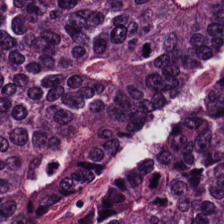The tissue type is colorectal adenocarcinoma epithelium.
